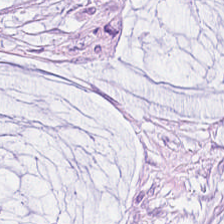H&E-stained tissue section · formalin-fixed paraffin-embedded section.
Finding → mucus.
